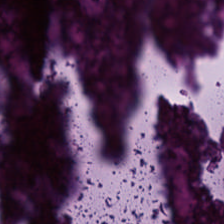0.5 µm/px · hematoxylin and eosin — The tissue here is necrotic debris.
